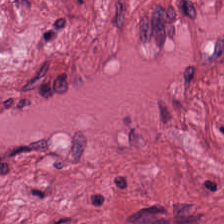The predominant tissue is tumor stroma.
